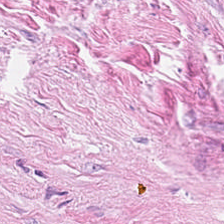H&E; 0.5 microns per pixel.
Tissue: cancer-associated stroma.
